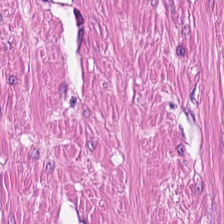H&E. Tissue type: smooth muscle.
